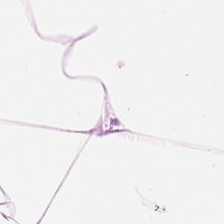Q: What is shown in this field?
A: Adipose tissue.
